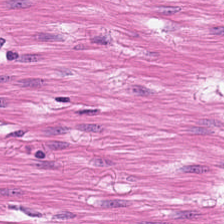0.5 µm/px · hematoxylin and eosin. Tissue class: smooth muscle.
